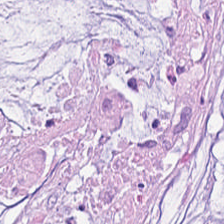H&E · WSI patch — Q: Classify this patch.
A: It is mucin.
